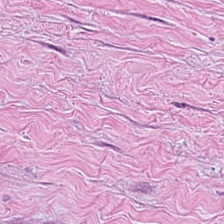Q: Classify this patch.
A: This is desmoplastic stroma.
